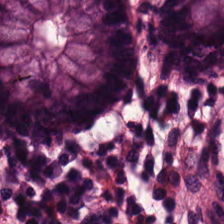Stain: hematoxylin-and-eosin stained section.
Tissue type: normal colon mucosa.
